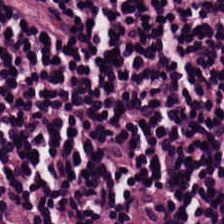Hematoxylin-and-eosin stained section. {"tissue_type": "lymphocytes"}
